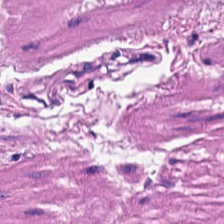Stain: hematoxylin and eosin.
Tissue class: smooth-muscle tissue.
